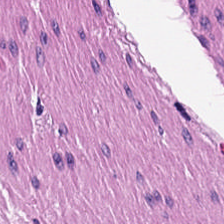FFPE tissue section · hematoxylin-and-eosin stained section · 0.5 microns per pixel.
Tissue class = muscularis.
